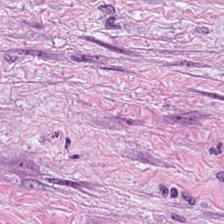Impression — tumor-associated stroma.
